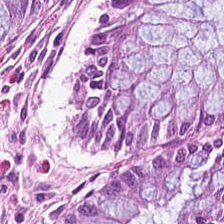H&E stain. Whole-slide-image patch. 0.5 µm per pixel — Tissue: non-neoplastic colon mucosa.
